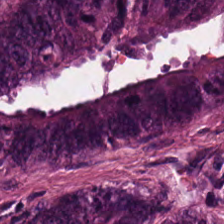Stain: hematoxylin-and-eosin stained section.
Tissue: malignant epithelium.
